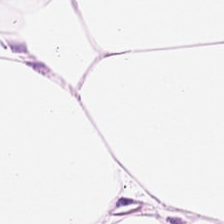Hematoxylin-and-eosin section: adipocytes.
